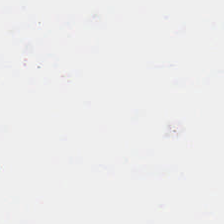Hematoxylin-and-eosin stained section — {"content": "background (no tissue)"}
